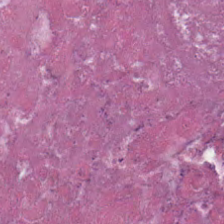H&E-stained tissue section. 224×224 px tile — The tissue here is debris.
